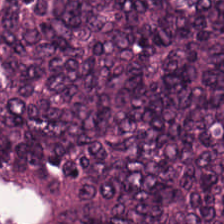H&E.
The predominant tissue is colorectal adenocarcinoma epithelium.
